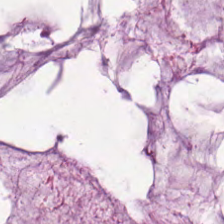H&E-stained tissue section showing mucus.
